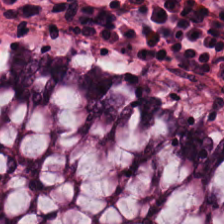Hematoxylin and eosin — Tissue = benign colonic mucosa.
